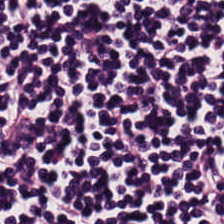H&E-stained tissue section. Showing lymphocyte aggregate.
